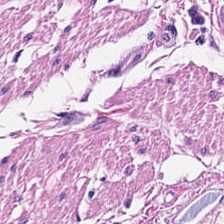This field is smooth muscle.
